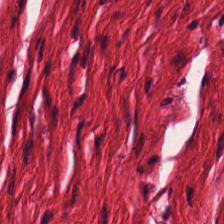Stain: hematoxylin-and-eosin stained section.
Predominant tissue: smooth muscle.
